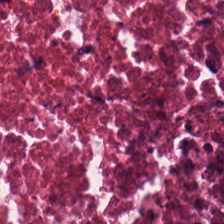H&E patch showing cellular debris.
